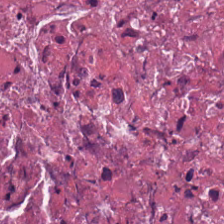Hematoxylin and eosin.
Necrotic debris.
